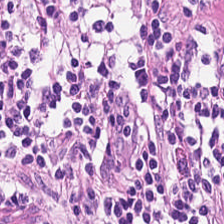H&E; 224×224 pixel tile; FFPE tissue section — Q: What is shown in this field?
A: The field shows lymphoid infiltrate.
